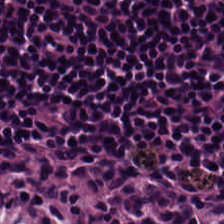Hematoxylin-and-eosin stained section. 224×224 px patch.
The classification is lymphocytic infiltrate.
